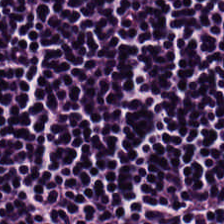Hematoxylin and eosin — This patch shows lymphocytes.
